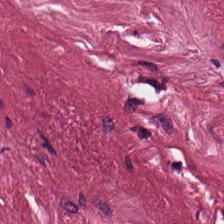Hematoxylin-and-eosin stained section — The predominant tissue is desmoplastic stroma.
